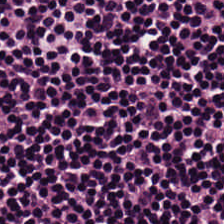Hematoxylin and eosin — Q: What does this patch show?
A: This is lymphoid infiltrate.
